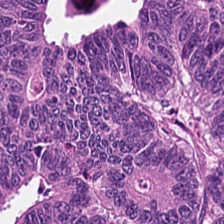Formalin-fixed paraffin-embedded section; H&E stain; whole-slide-image patch. The tissue class is adenocarcinoma.
